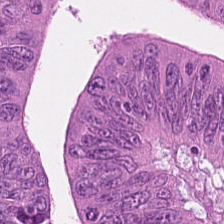Hematoxylin and eosin · 0.5 µm/px · 224×224 pixel tile. Predominant tissue = tumor epithelium.
